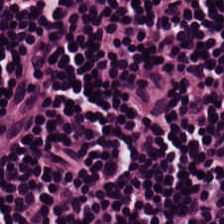H&E stain — Predominantly lymphocyte aggregate.
